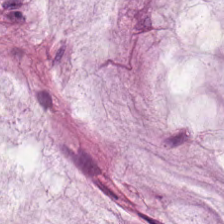Tissue class — extracellular mucin.
